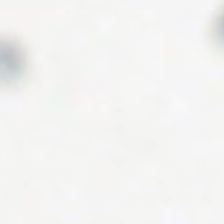H&E-stained tissue section.
Finding → no tissue.
